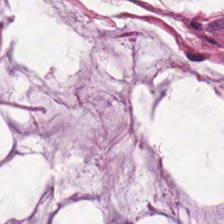Stain: H&E stain.
Tissue type: mucin.
